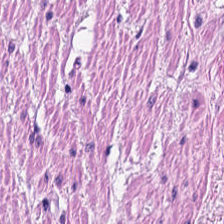H&E stain.
This patch shows smooth muscle.
